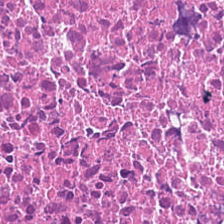H&E-stained tissue section · brightfield.
This field is cellular debris.
